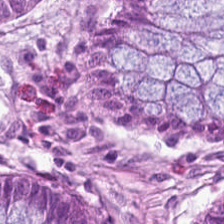FFPE · WSI patch · H&E. The predominant tissue is benign colonic mucosa.
